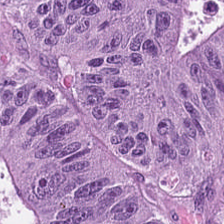Hematoxylin-and-eosin stained section. This field is tumor epithelium.
